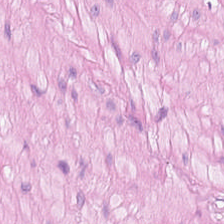20× equivalent magnification · H&E stain — Q: What is the predominant tissue type?
A: The field shows smooth-muscle tissue.
